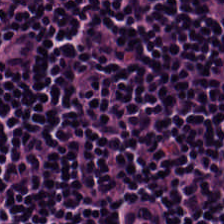Classification: lymphocyte aggregate.
